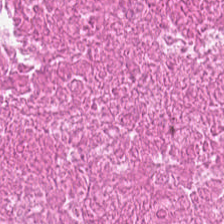0.5 microns per pixel; H&E-stained tissue section — Predominant tissue — cellular debris.
